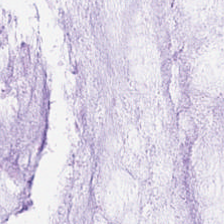Predominantly mucin.
